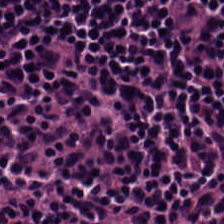H&E stain · whole-slide-image patch · FFPE.
Classification: lymphocytic infiltrate.
